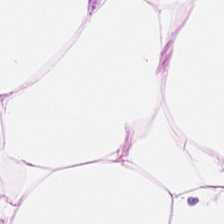Stain: hematoxylin and eosin.
Tissue class: fat tissue.
